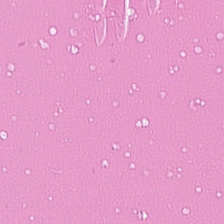Hematoxylin-and-eosin stained section; 224×224 pixel tile. This field is debris.
